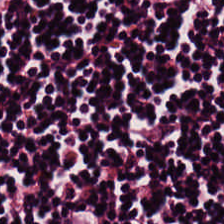0.5 µm per pixel · H&E · 224×224 pixel tile.
The tissue here is lymphocytes.
